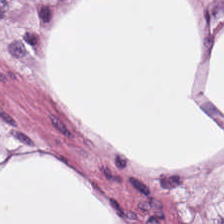Stain: hematoxylin and eosin.
Classification: adipose.
